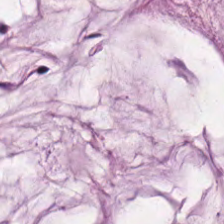The tissue class is mucus.
